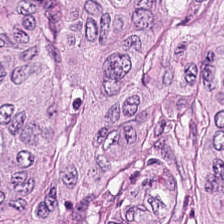H&E-stained tissue section. FFPE — Colorectal adenocarcinoma epithelium.
